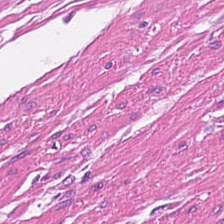Whole-slide-image patch · 0.5 µm per pixel · hematoxylin-and-eosin stained section.
Predominant tissue = smooth-muscle tissue.
